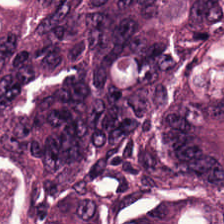H&E stain. Brightfield — Malignant epithelium.
